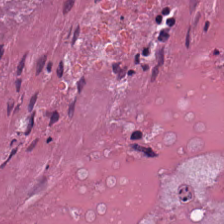Hematoxylin-and-eosin stained section · 224×224 pixel tile — Q: What tissue is shown?
A: This is necrotic debris.
